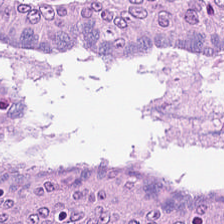This patch shows adenocarcinoma.
